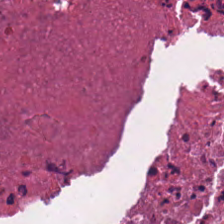H&E. Cellular debris.
